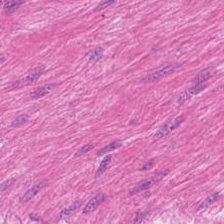The tissue is smooth muscle.
